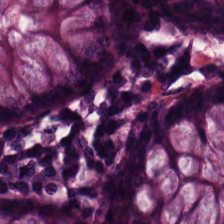FFPE tissue section; 224×224 pixel tile; H&E-stained tissue section — Non-neoplastic colon mucosa.
